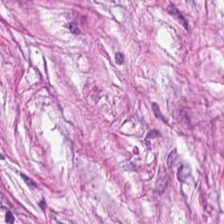224×224 px tile · hematoxylin-and-eosin stained section.
This field is desmoplastic stroma.
